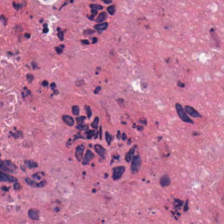H&E-stained tissue section. 0.5 microns per pixel.
This patch shows debris.
